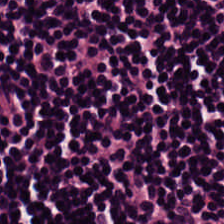H&E stain — Finding — lymphoid infiltrate.
